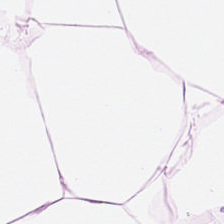Hematoxylin-and-eosin stained section; 20× equivalent magnification — Classification: adipose tissue.
